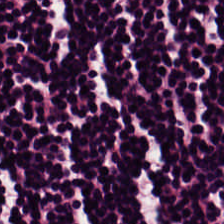FFPE tissue section. H&E. 0.5 µm/px — This field is lymphocytes.
